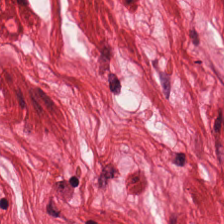Brightfield; H&E stain.
The predominant tissue is muscularis.
